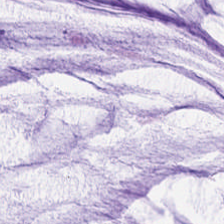This field is mucus.
